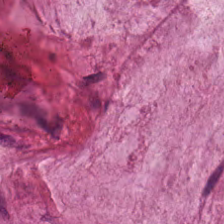Whole-slide-image patch · hematoxylin-and-eosin stained section — Predominantly mucus.
